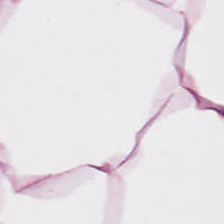224×224 pixel tile · H&E stain · brightfield microscopy. Tissue type = fat tissue.
